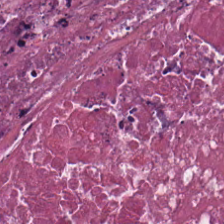Hematoxylin-and-eosin stained section. The classification is cellular debris.
